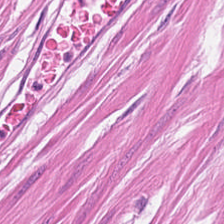H&E stain. Tissue class = smooth-muscle tissue.
